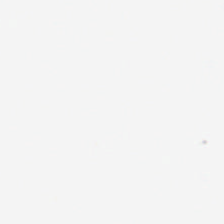Stain: H&E-stained tissue section.
Field content: empty background.
